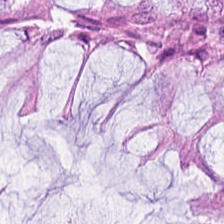H&E · WSI patch.
Q: What tissue is shown?
A: The field shows normal colonic mucosa.
